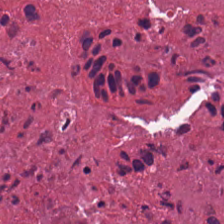H&E-stained tissue section — Finding — debris.
